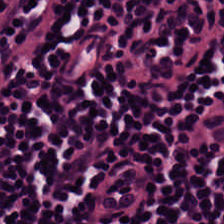H&E stain · whole-slide-image patch.
Predominant tissue: lymphocyte aggregate.
